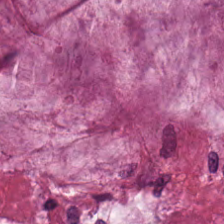Hematoxylin and eosin — The predominant tissue is extracellular mucin.
